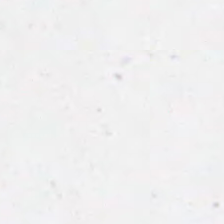H&E-stained tissue section.
Field content — no tissue.
